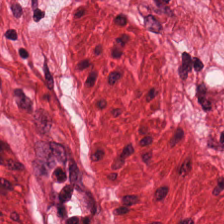Hematoxylin-and-eosin stained section. This patch shows muscularis.
